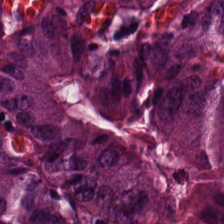Q: Identify the tissue.
A: This is tumor epithelium.
